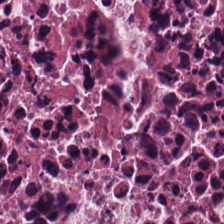H&E-stained tissue section — Q: Identify the tissue.
A: It is cellular debris.
